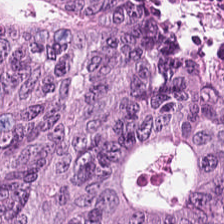H&E-stained section; the field shows colorectal adenocarcinoma epithelium.
